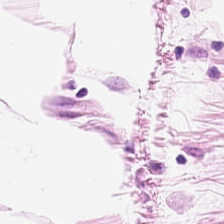{"tissue_type": "adipose"}
